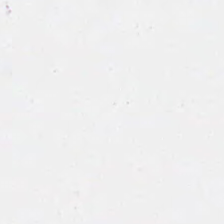The content is background (no tissue).
